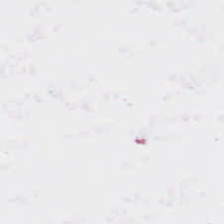Hematoxylin and eosin. FFPE. This field is background (no tissue).
